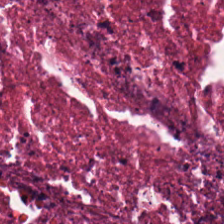H&E stain. This patch shows cellular debris.
